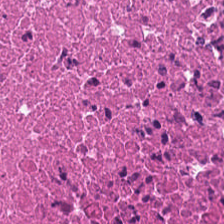20× equivalent magnification. H&E — Impression — necrotic debris.
